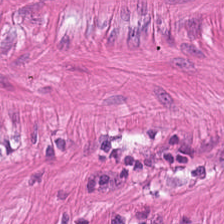Hematoxylin and eosin · 224×224 px tile — Finding — muscularis.
